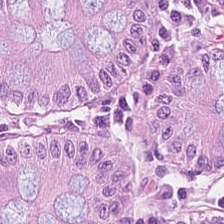Hematoxylin and eosin.
Q: What is shown here?
A: The field shows normal colon mucosa.
